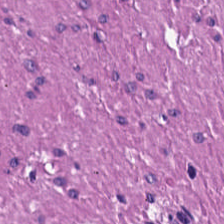Hematoxylin and eosin. Tissue class = smooth-muscle tissue.
